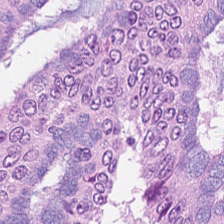H&E. Q: What tissue is shown?
A: It is tumor epithelium.
